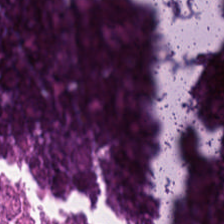H&E-stained tissue section showing debris.
